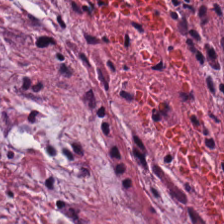H&E.
This field is tumor-associated stroma.
